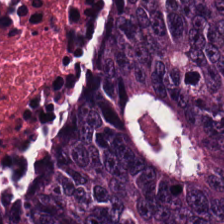WSI patch · hematoxylin and eosin.
Finding — adenocarcinoma.
